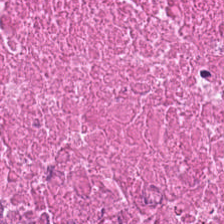H&E stain. The classification is cellular debris.
